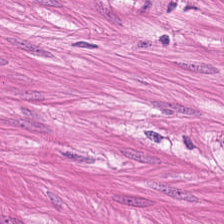Stain: H&E.
Tissue class: smooth muscle.
